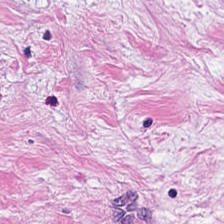Hematoxylin and eosin.
Tissue — cancer-associated stroma.
